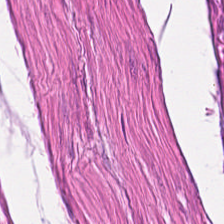Hematoxylin-and-eosin section: smooth-muscle tissue.
